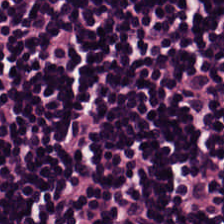The predominant tissue is lymphocyte aggregate.
